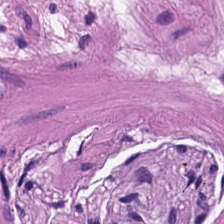Hematoxylin and eosin.
This patch shows muscularis.
